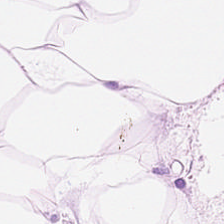Hematoxylin-and-eosin stained section.
{"tissue_type": "adipose"}
